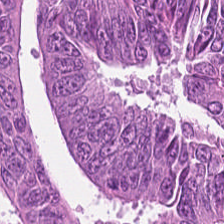H&E-stained tissue section; 0.5 microns per pixel — Classification = adenocarcinoma.
